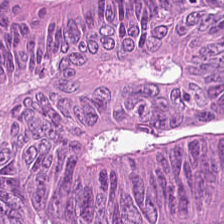FFPE. Hematoxylin and eosin — The predominant tissue is tumor epithelium.
